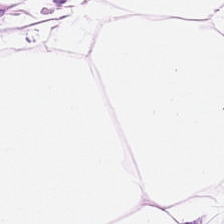224×224 px patch. FFPE. H&E. Q: What is shown in this field?
A: The field shows fat tissue.
